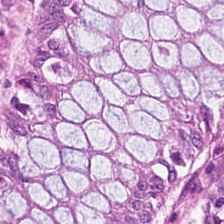H&E stain. This patch shows normal colonic mucosa.
